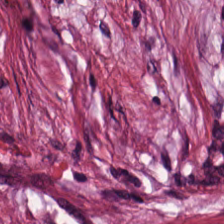Hematoxylin-and-eosin stained section.
This patch shows cancer-associated stroma.
